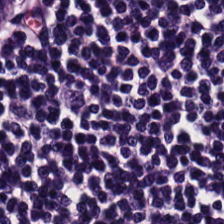Brightfield microscopy; H&E. The tissue type is lymphocytic infiltrate.
